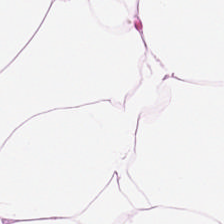H&E-stained tissue section. Tissue — fat tissue.
